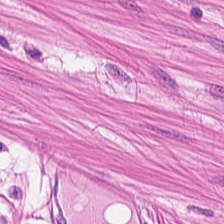Hematoxylin and eosin.
Showing smooth muscle.
